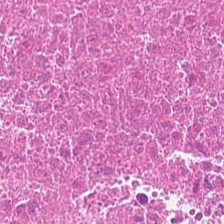224×224 px patch; 0.5 µm/px; hematoxylin and eosin.
Tissue — necrotic debris.
